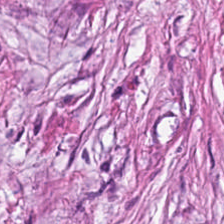Hematoxylin and eosin. The classification is tumor stroma.
